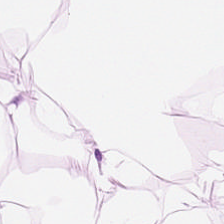Hematoxylin-and-eosin stained section — Showing adipose tissue.
